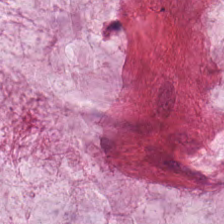H&E stain. Tissue type — extracellular mucin.
